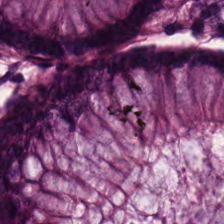Tissue type: non-neoplastic colon mucosa.
